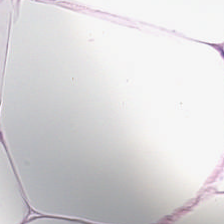Hematoxylin and eosin. 224×224 pixel tile. Brightfield microscopy.
Adipose tissue.
